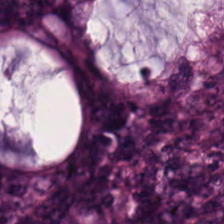Whole-slide-image patch · 0.5 µm/px · hematoxylin and eosin. Impression → adenocarcinoma.
